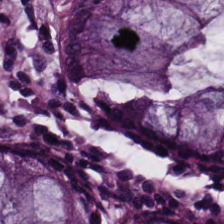Brightfield microscopy. Hematoxylin and eosin. Histology — benign colonic mucosa.
